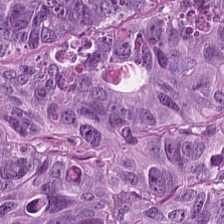H&E stain.
The predominant tissue is adenocarcinoma.
